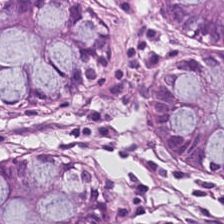Stain: H&E-stained tissue section.
Acquisition: brightfield microscopy.
Predominant tissue: non-neoplastic colon mucosa.
